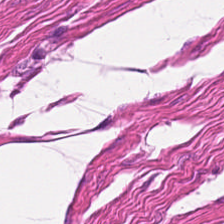20× equivalent magnification · 224×224 px tile · hematoxylin and eosin — Predominant tissue — smooth-muscle tissue.
